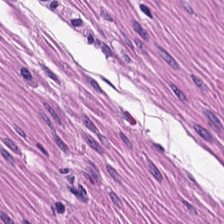Stain: hematoxylin and eosin.
Tissue class: smooth muscle.
